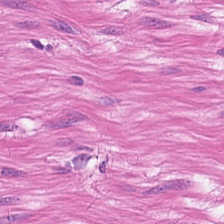Hematoxylin and eosin.
Smooth muscle.
